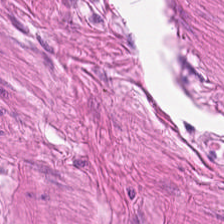Hematoxylin and eosin. FFPE.
Showing smooth-muscle tissue.
